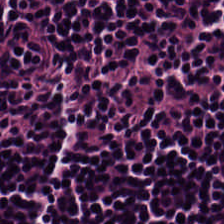H&E-stained tissue section — The tissue here is lymphoid infiltrate.
